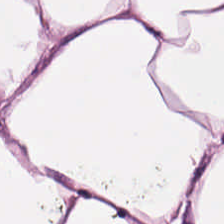Tissue class — fat tissue.
